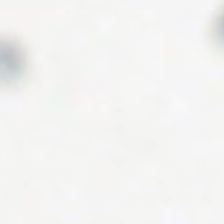H&E-stained tissue section.
Histology — background.
